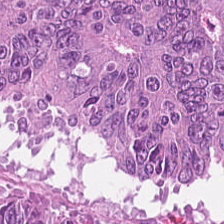Stain: hematoxylin-and-eosin stained section.
Tissue type: malignant epithelium.
